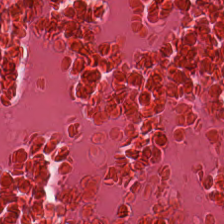Stain: H&E-stained tissue section.
Classification: cellular debris.
